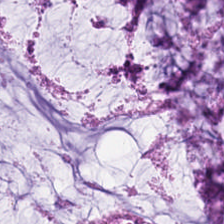Q: What does this patch show?
A: The field shows mucus.
